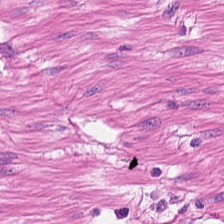H&E. Smooth-muscle tissue.
